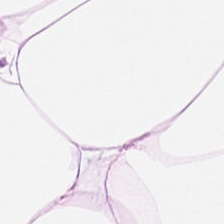Stain: hematoxylin and eosin.
Classification: fat tissue.
